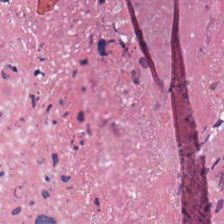Predominant tissue = necrotic debris.
